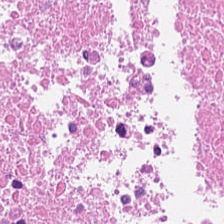Brightfield; hematoxylin-and-eosin stained section.
Showing necrotic debris.
